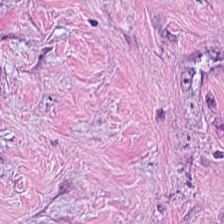Hematoxylin and eosin.
{"tissue_type": "tumor-associated stroma"}
